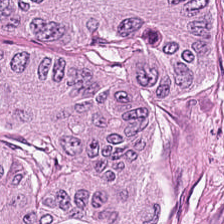The tissue is tumor epithelium.
